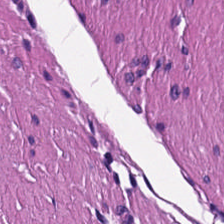Finding → muscularis.
